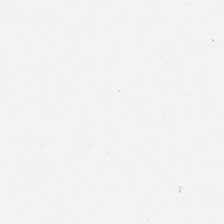Hematoxylin and eosin.
Content — background (no tissue).
